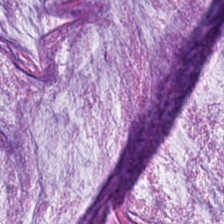Tissue type: mucin.
